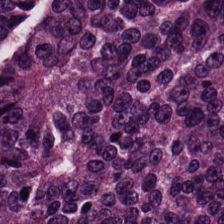Stain: hematoxylin and eosin.
Classification: colorectal adenocarcinoma.
